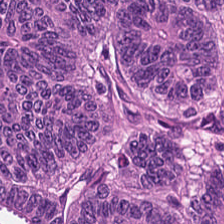Finding — adenocarcinoma.
